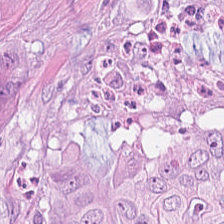0.5 µm per pixel. H&E-stained tissue section. FFPE tissue section — The predominant tissue is colorectal adenocarcinoma.
